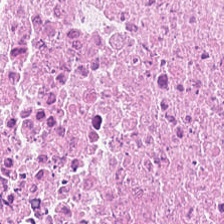Histology — debris.
